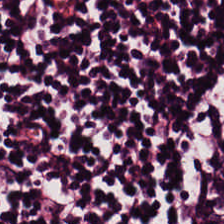H&E stain. WSI patch. 0.5 µm/px — {"tissue_type": "lymphocyte aggregate"}
